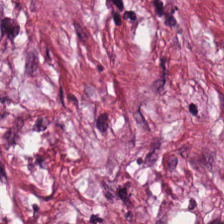Hematoxylin and eosin; 224×224 pixel tile.
Classification = tumor stroma.
